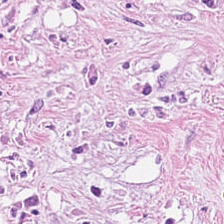Stain: hematoxylin and eosin.
Tissue type: cancer-associated stroma.
